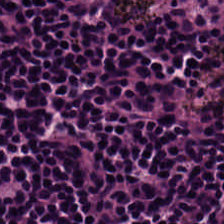Hematoxylin and eosin. Finding — lymphoid infiltrate.
